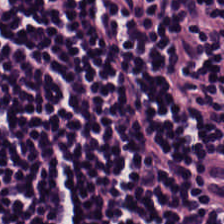0.5 µm/px · H&E-stained tissue section. The predominant tissue is lymphoid infiltrate.
